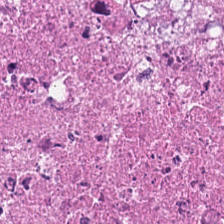This patch shows cellular debris.
